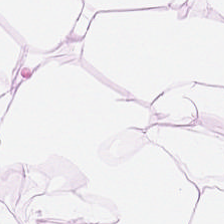Hematoxylin-and-eosin stained section · WSI patch.
This field is fat tissue.
